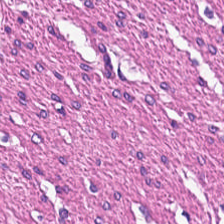H&E-stained tissue section. Classification: smooth-muscle tissue.
